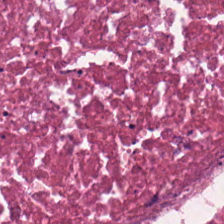Brightfield microscopy; H&E stain. This field is cellular debris.
